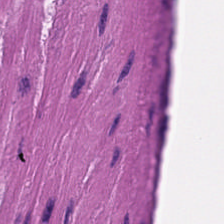H&E-stained tissue section. {"tissue_type": "smooth-muscle tissue"}
